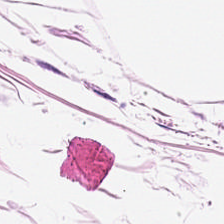0.5 microns per pixel · whole-slide-image patch · H&E. Finding — adipose tissue.
